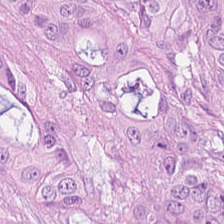Hematoxylin and eosin. Impression → colorectal adenocarcinoma.
